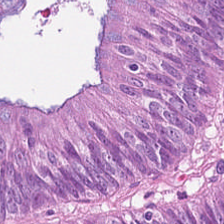H&E-stained tissue section; 224×224 px patch. Tissue type: colorectal adenocarcinoma.
